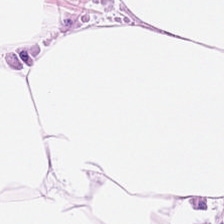H&E; WSI patch.
Showing fat tissue.
